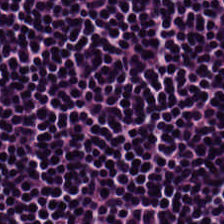Hematoxylin-and-eosin stained section. Lymphocyte aggregate.
